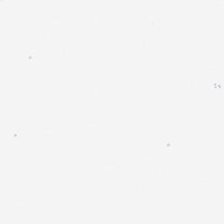224×224 px patch; FFPE tissue section; H&E stain.
Classification: background (no tissue).
